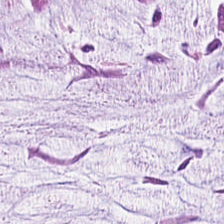FFPE tissue section. Hematoxylin and eosin. 224×224 px tile.
Tissue = extracellular mucin.
